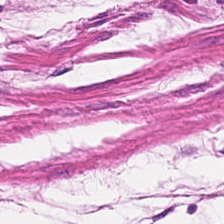Stain: H&E.
Tissue type: smooth-muscle tissue.
